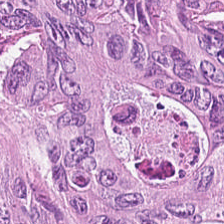H&E stain · 224×224 pixel tile · formalin-fixed paraffin-embedded section — Tissue class = colorectal adenocarcinoma epithelium.
